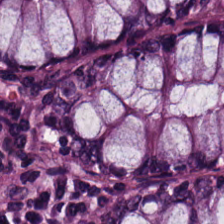Normal colonic mucosa.
